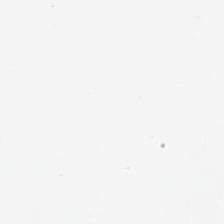H&E. 224×224 pixel tile. Brightfield microscopy.
Finding — background (no tissue).
